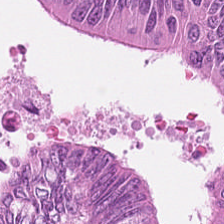Q: Classify this patch.
A: It is tumor epithelium.
